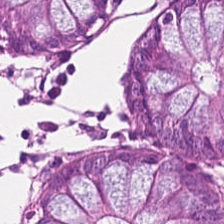0.5 µm per pixel; H&E; formalin-fixed paraffin-embedded section — {"tissue_type": "normal colon mucosa"}
